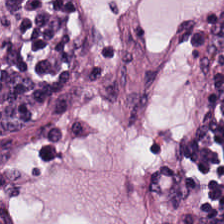H&E-stained tissue section.
Predominant tissue — lymphocytic infiltrate.
